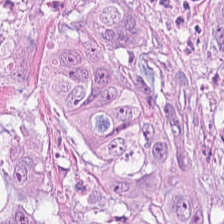Stain: H&E stain.
Tissue class: tumor epithelium.
